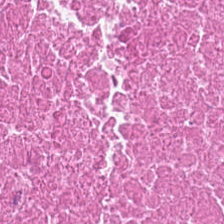H&E patch showing cellular debris.
